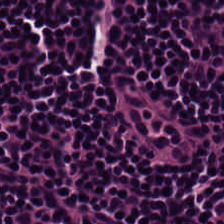Formalin-fixed paraffin-embedded section · 224×224 pixel tile · hematoxylin and eosin.
This field is lymphocyte aggregate.
